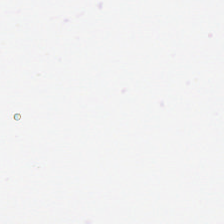Empty field — background (no tissue).
